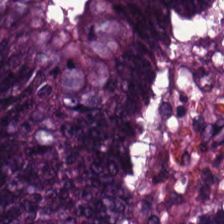H&E patch showing adenocarcinoma.
